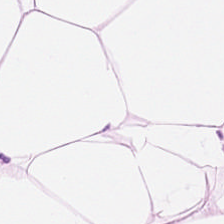H&E stain.
Showing adipose.
